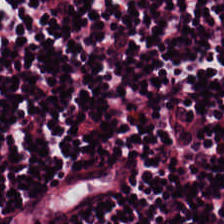Hematoxylin and eosin — Classification = lymphocytic infiltrate.
